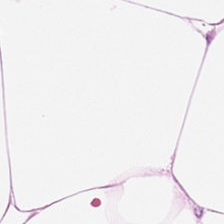The predominant tissue is adipose.
